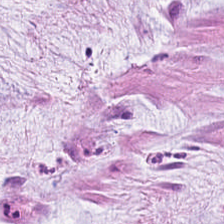Stain: hematoxylin and eosin.
Resolution: 0.5 microns per pixel.
Tissue: mucus.
